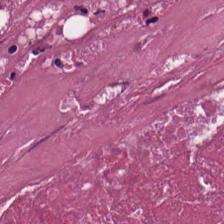Brightfield microscopy. H&E — Tissue type = cellular debris.
